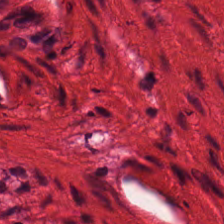H&E patch showing muscularis.
